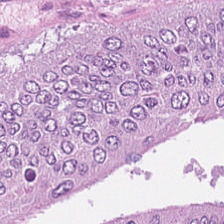Hematoxylin and eosin. Predominantly tumor epithelium.
